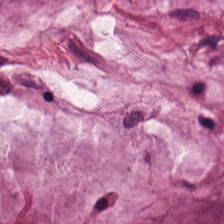Tissue — mucin.
